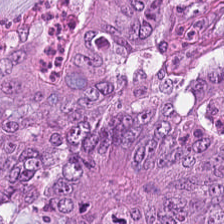H&E-stained tissue section — {"tissue_type": "colorectal adenocarcinoma epithelium"}
